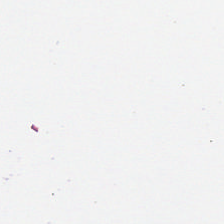H&E-stained tissue section. This patch shows background (no tissue).
